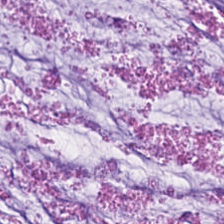FFPE tissue section. H&E-stained tissue section — Q: What is the predominant tissue type?
A: The field shows extracellular mucin.
